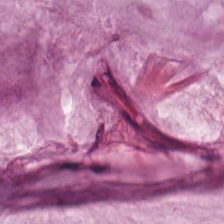Hematoxylin-and-eosin stained section — Tissue type — extracellular mucin.
